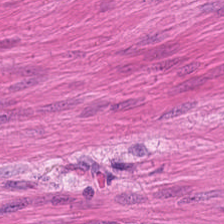The predominant tissue is muscularis.
